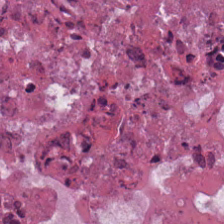H&E.
{"tissue_type": "necrotic debris"}
